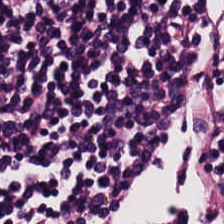H&E-stained tissue section — Finding — lymphocytic infiltrate.
